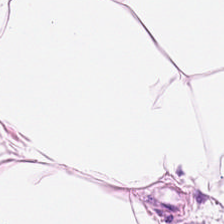H&E-stained tissue section.
Finding → adipose tissue.
